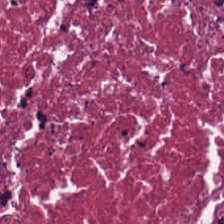Tissue type = debris.
